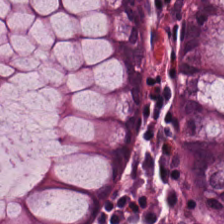H&E stain — The tissue is benign colonic mucosa.
